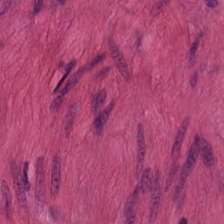Stain: H&E-stained tissue section.
Tile size: 224×224 pixel tile.
Preparation: FFPE.
Tissue: muscularis.
